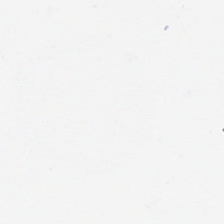H&E stain. FFPE tissue section — Empty background.
